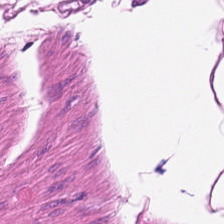H&E patch showing smooth muscle.
